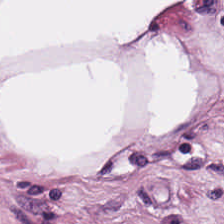H&E-stained tissue section. 224×224 px tile — Predominantly fat tissue.
